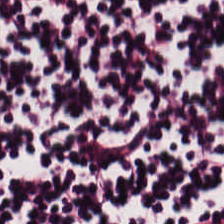Hematoxylin-and-eosin stained section; FFPE.
Q: What tissue type is shown here?
A: The field shows lymphocytic infiltrate.
